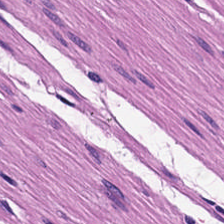Stain: hematoxylin-and-eosin stained section.
Predominant tissue: smooth muscle.
